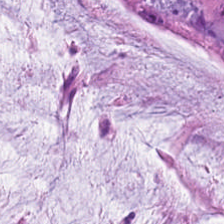Tissue: mucin.
